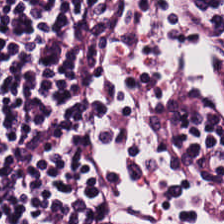H&E. 20× equivalent magnification — Histology → lymphocyte aggregate.
